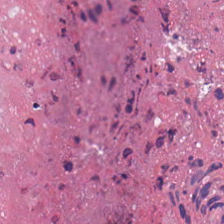H&E · 0.5 microns per pixel · formalin-fixed paraffin-embedded section.
{"tissue_type": "debris"}
